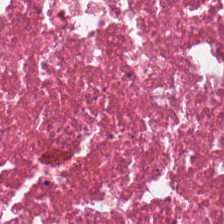0.5 µm/px; H&E-stained tissue section; whole-slide-image patch. The tissue here is necrotic debris.
